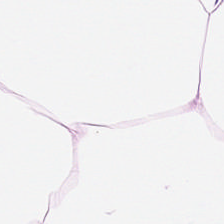224×224 px patch · 0.5 µm/px · H&E stain.
Adipocytes.
